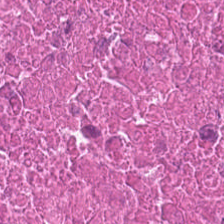Stain: H&E.
Tissue type: cellular debris.
